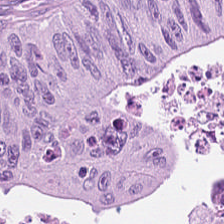Histology → adenocarcinoma.
